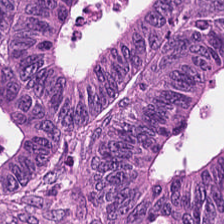H&E. 224×224 px tile. 0.5 µm/px — {"tissue_type": "malignant epithelium"}
